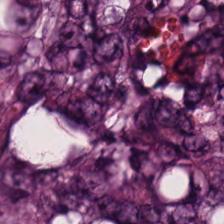H&E. Colorectal adenocarcinoma epithelium.
